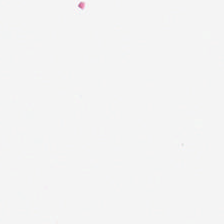Classification — empty background.
